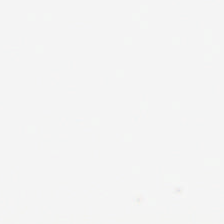Hematoxylin and eosin — Field content: background (no tissue).
